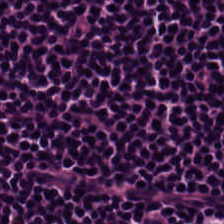H&E. Q: Identify the tissue.
A: Lymphoid infiltrate.
